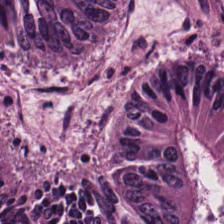H&E-stained tissue section. Tissue: adenocarcinoma.
